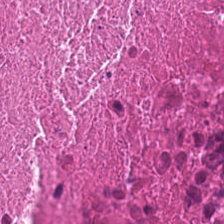FFPE tissue section · H&E stain.
Q: What tissue type is shown here?
A: Necrotic debris.
